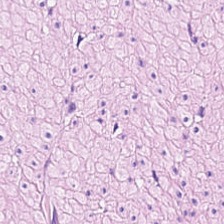Brightfield. H&E. 224×224 px patch — This patch shows smooth-muscle tissue.
